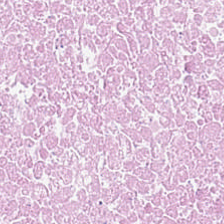Hematoxylin and eosin.
Q: What does this patch show?
A: Debris.
